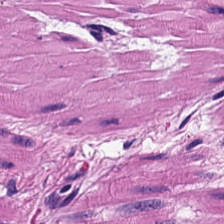Hematoxylin and eosin. This field is smooth-muscle tissue.
